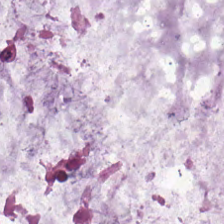20× equivalent magnification. H&E stain.
Predominantly extracellular mucin.
